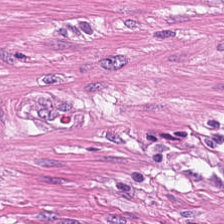Hematoxylin and eosin; brightfield microscopy; 224×224 pixel tile. Q: What tissue is shown?
A: Muscularis.
